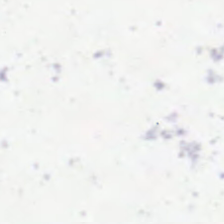Stain: H&E stain.
Content: background.
